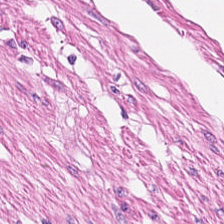Histology — smooth-muscle tissue.
